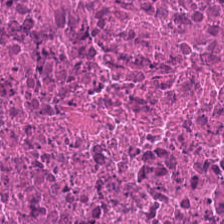Hematoxylin and eosin.
{"tissue_type": "cellular debris"}
